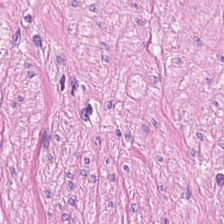0.5 microns per pixel; hematoxylin and eosin; formalin-fixed paraffin-embedded section. Tissue — muscularis.
